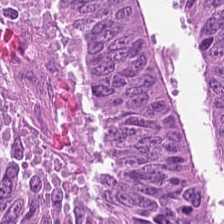H&E-stained tissue section.
Predominantly adenocarcinoma.
